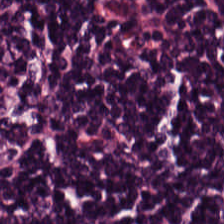Hematoxylin-and-eosin stained section; whole-slide-image patch. Predominantly lymphocytic infiltrate.
